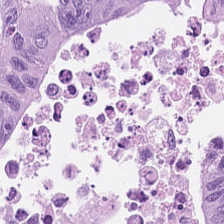H&E · brightfield. Predominant tissue: adenocarcinoma.
